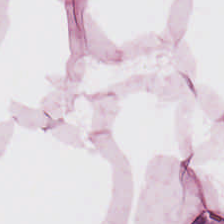H&E. Adipose tissue.
